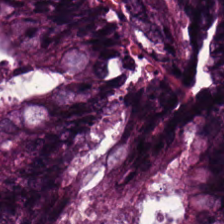Q: What tissue is shown?
A: The field shows malignant epithelium.
